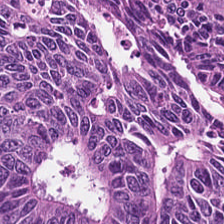H&E-stained tissue section showing adenocarcinoma.
